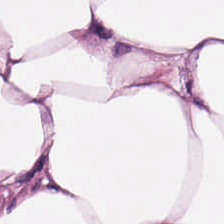Stain: hematoxylin and eosin.
Tissue class: fat tissue.
